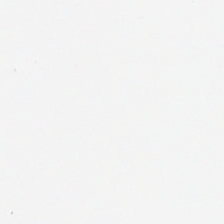H&E-stained tissue section; brightfield microscopy; 20× equivalent magnification. Empty field — no tissue.
